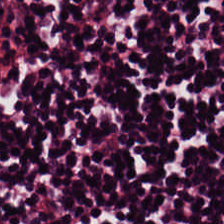Hematoxylin-and-eosin stained section; formalin-fixed paraffin-embedded section — Showing lymphocytic infiltrate.
